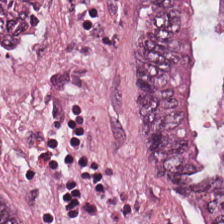H&E · 0.5 µm/px — Finding → tumor epithelium.
